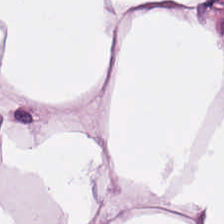FFPE; hematoxylin-and-eosin stained section — Tissue type — adipocytes.
